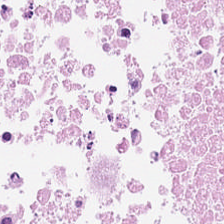Hematoxylin-and-eosin stained section — Histology — debris.
